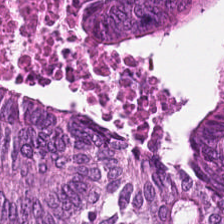Q: What is shown here?
A: It is colorectal adenocarcinoma.
